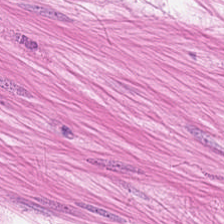Brightfield. 0.5 microns per pixel. Hematoxylin-and-eosin stained section — Classification = muscularis.
